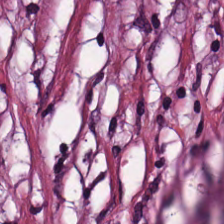Impression → tumor stroma.
